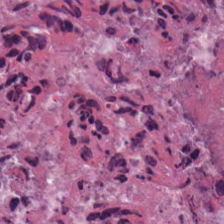Hematoxylin-and-eosin stained section.
The tissue type is debris.
